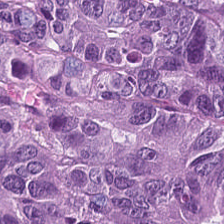Tissue class: tumor epithelium.
